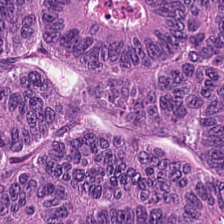H&E stain. Whole-slide-image patch. {"tissue_type": "colorectal adenocarcinoma"}
